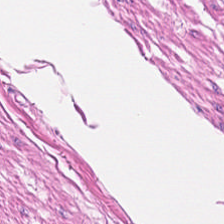Hematoxylin-and-eosin stained section. Brightfield microscopy.
Q: What is the predominant tissue type?
A: The field shows smooth-muscle tissue.
